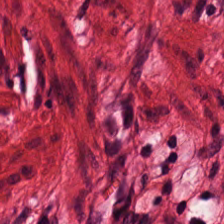Whole-slide-image patch. 0.5 µm per pixel. H&E stain. Histology → smooth-muscle tissue.
